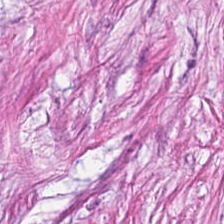0.5 µm/px. WSI patch. H&E-stained tissue section.
The classification is tumor stroma.
